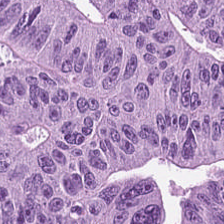20× equivalent magnification; hematoxylin-and-eosin stained section; WSI patch.
Tissue type = colorectal adenocarcinoma epithelium.
